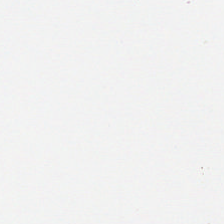No tissue present; background only.
